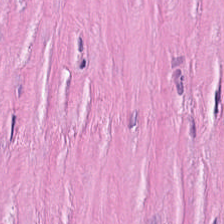H&E-stained tissue section.
Desmoplastic stroma.
